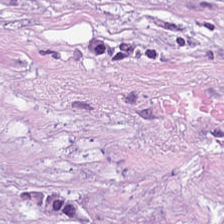Predominant tissue — tumor stroma.
